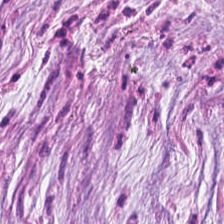224×224 px tile · hematoxylin and eosin — Tissue class: extracellular mucin.
